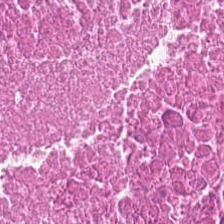Tissue type: cellular debris.
